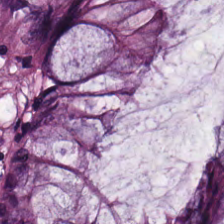H&E-stained tissue section · formalin-fixed paraffin-embedded section. Impression — normal colonic mucosa.
